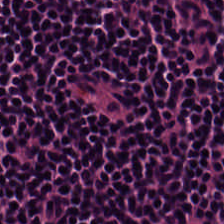Hematoxylin and eosin — Predominant tissue: lymphocyte aggregate.
